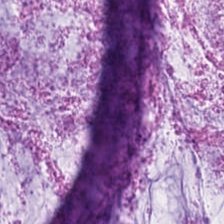The tissue here is mucin.
